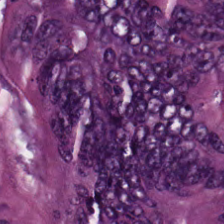H&E stain — Colorectal adenocarcinoma epithelium.
